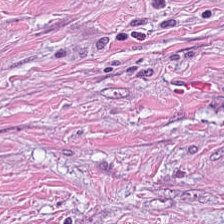This patch shows tumor-associated stroma.
